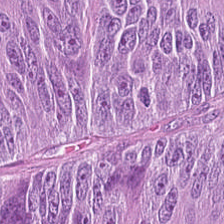The predominant tissue is colorectal adenocarcinoma.
